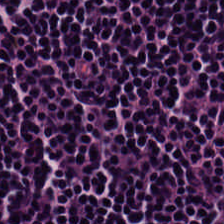WSI patch. Hematoxylin and eosin. FFPE.
Q: What tissue is shown?
A: This is lymphoid infiltrate.
